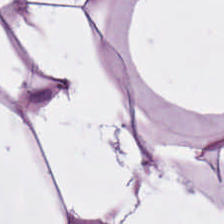Hematoxylin-and-eosin stained section; FFPE.
Showing fat tissue.
